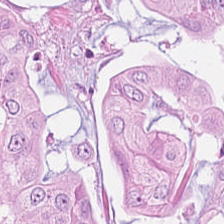Hematoxylin and eosin — Q: Classify this patch.
A: The field shows colorectal adenocarcinoma.
